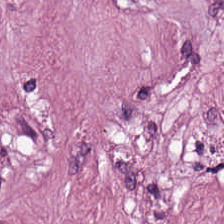WSI patch; FFPE tissue section; H&E stain — This patch shows desmoplastic stroma.
